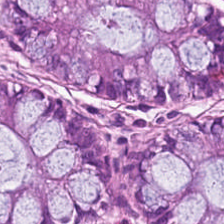H&E.
{"tissue_type": "normal colon mucosa"}
